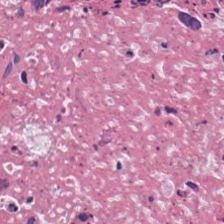Whole-slide-image patch · H&E-stained tissue section · 224×224 pixel tile. Q: What tissue type is shown here?
A: It is necrotic debris.
